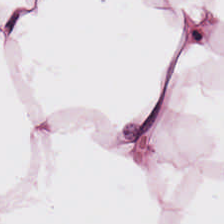Stain: H&E stain.
Tile size: 224×224 px patch.
Resolution: 0.5 µm/px.
Tissue class: adipocytes.
